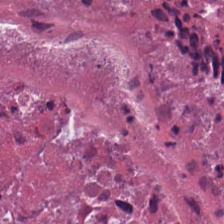H&E-stained tissue section. Q: What type of tissue is this?
A: Necrotic debris.
